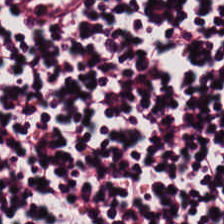Hematoxylin and eosin.
The tissue is lymphocyte aggregate.
